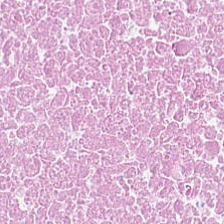FFPE · H&E stain — Classification = cellular debris.
